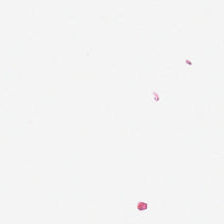Q: What does this patch show?
A: This is no tissue.
